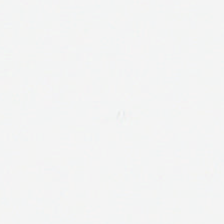H&E stain — No tissue present; background only.
